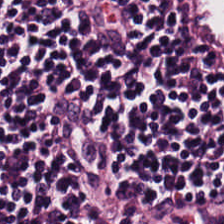224×224 px patch. 0.5 µm/px. H&E-stained tissue section. The predominant tissue is lymphoid infiltrate.
